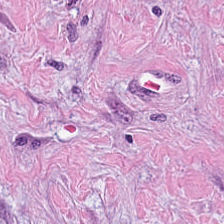224×224 px tile · hematoxylin-and-eosin stained section — Tissue type — cancer-associated stroma.
